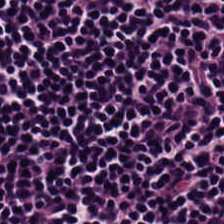WSI patch; H&E — Q: What type of tissue is this?
A: This is lymphocytic infiltrate.
